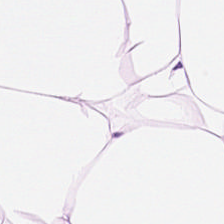H&E-stained tissue section.
Q: What is shown here?
A: The field shows adipose tissue.
